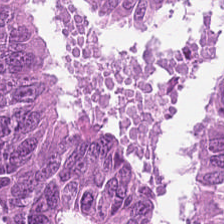Classification = colorectal adenocarcinoma.
